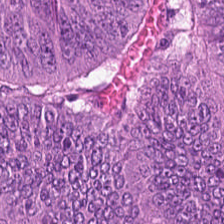Stain: hematoxylin-and-eosin stained section.
Resolution: 20× equivalent magnification.
Predominant tissue: colorectal adenocarcinoma epithelium.
